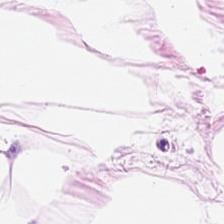Hematoxylin-and-eosin stained section.
Impression — adipocytes.
